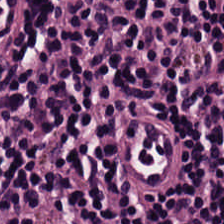Hematoxylin-and-eosin stained section; FFPE tissue section; brightfield — Q: What is shown in this field?
A: This is lymphocyte aggregate.
